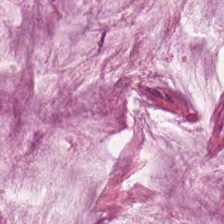Stain: H&E.
Tissue class: mucus.
